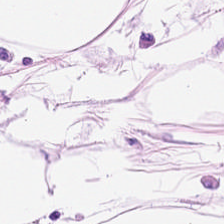224×224 px tile · hematoxylin-and-eosin stained section · FFPE.
Showing adipose tissue.
